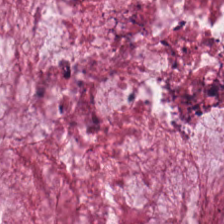Showing mucin.
